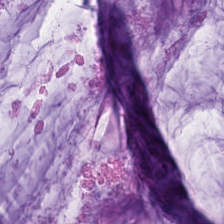H&E stain; whole-slide-image patch.
Impression — mucus.
